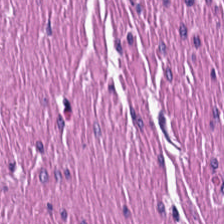Hematoxylin and eosin — This patch shows muscularis.
